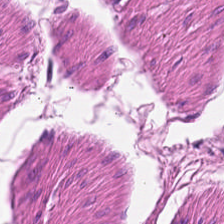{"tissue_type": "smooth muscle"}
